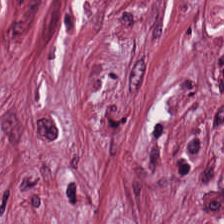0.5 µm/px. FFPE tissue section. Hematoxylin-and-eosin stained section. {"tissue_type": "cancer-associated stroma"}
